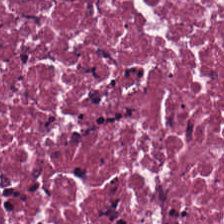224×224 px patch. 0.5 microns per pixel. H&E stain. Tissue: cellular debris.
